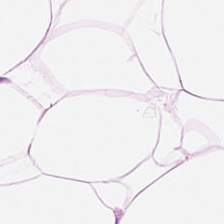Hematoxylin and eosin. {"tissue_type": "fat tissue"}
